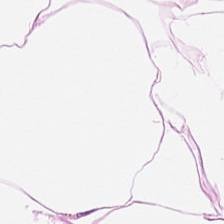Hematoxylin and eosin. FFPE tissue section. This field is adipose tissue.
